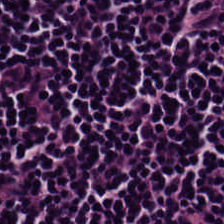H&E stain · FFPE. {"tissue_type": "lymphocytes"}
